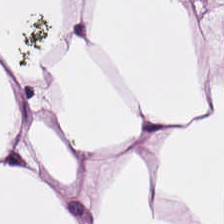Stain: H&E.
Tissue type: adipose tissue.
